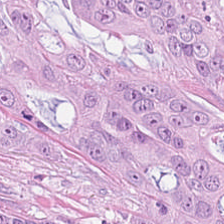224×224 px patch · H&E — Classification = colorectal adenocarcinoma epithelium.
